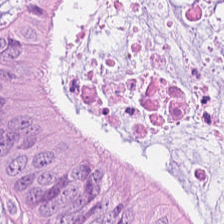224×224 px patch; H&E — This patch shows colorectal adenocarcinoma.
